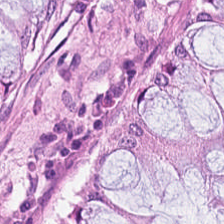Hematoxylin-and-eosin stained section; 0.5 µm/px. The predominant tissue is non-neoplastic colon mucosa.
